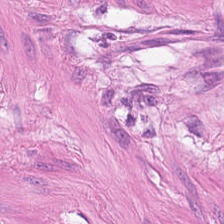Brightfield. H&E-stained tissue section — Predominantly smooth-muscle tissue.
